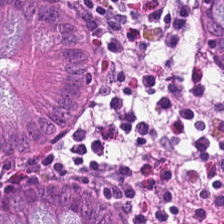20× equivalent magnification. Hematoxylin and eosin. Formalin-fixed paraffin-embedded section.
Tissue type: normal colon mucosa.
